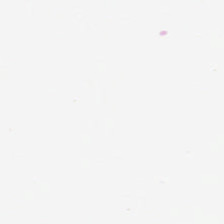H&E stain — This patch shows no tissue.
